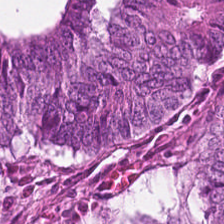Hematoxylin-and-eosin stained section.
Classification = colorectal adenocarcinoma.
